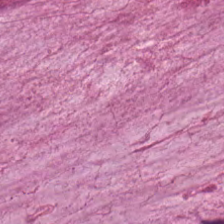224×224 pixel tile. H&E. Formalin-fixed paraffin-embedded section. Classification = mucus.
